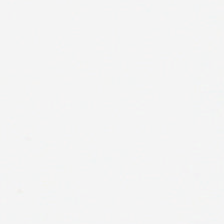No tissue present; background only.
